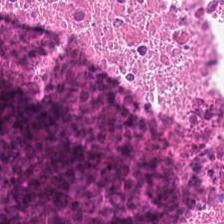224×224 px patch · hematoxylin and eosin. Q: Classify this patch.
A: This is necrotic debris.
